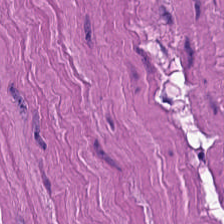H&E-stained tissue section · FFPE · 0.5 µm/px — Tissue type = smooth muscle.
